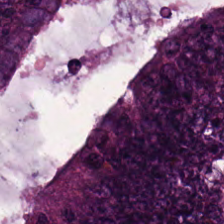0.5 µm per pixel; H&E-stained tissue section — {"tissue_type": "malignant epithelium"}
